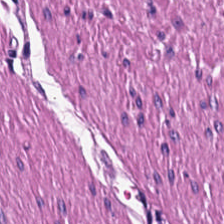Hematoxylin and eosin. Showing muscularis.
